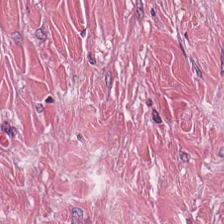Stain: H&E.
Classification: tumor stroma.
